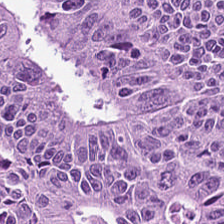Hematoxylin-and-eosin stained section. {"tissue_type": "colorectal adenocarcinoma"}
